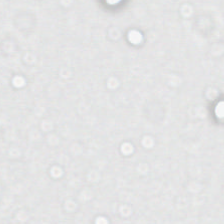H&E. 0.5 µm per pixel — Impression → empty background.
